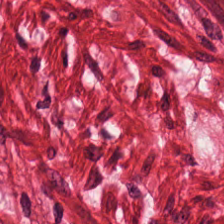H&E-stained section; the field shows smooth muscle.
